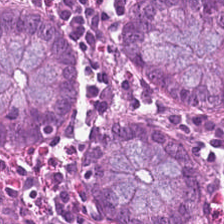FFPE tissue section · hematoxylin-and-eosin stained section — This patch shows non-neoplastic colon mucosa.
